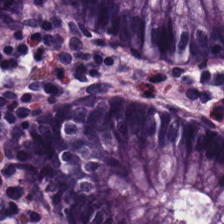Q: What tissue type is shown here?
A: Non-neoplastic colon mucosa.
